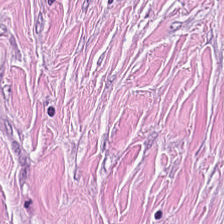Hematoxylin and eosin.
Q: What does this patch show?
A: It is cancer-associated stroma.
